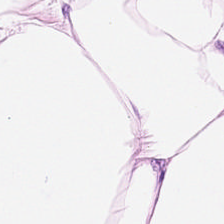The tissue is fat tissue.
